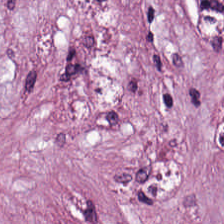Formalin-fixed paraffin-embedded section · H&E. Classification — tumor-associated stroma.
